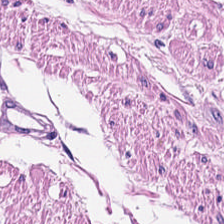This patch shows smooth muscle.
